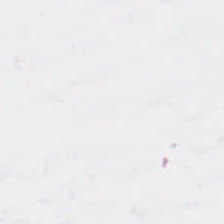{"content": "background"}
